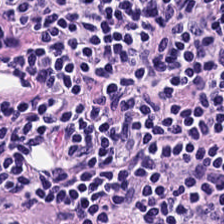H&E-stained tissue section.
{"tissue_type": "lymphoid infiltrate"}
